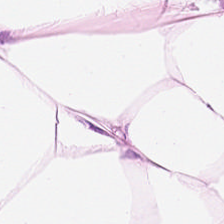H&E-stained tissue section. Predominant tissue = adipose tissue.
